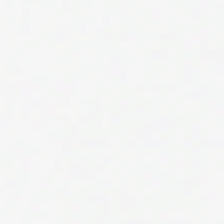Hematoxylin and eosin. FFPE. Whole-slide-image patch.
This patch shows empty background.
